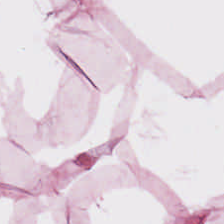This patch shows fat tissue.
